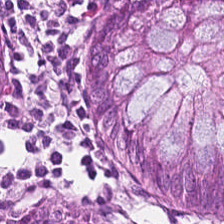WSI patch; H&E-stained tissue section; formalin-fixed paraffin-embedded section. Impression → normal colon mucosa.
